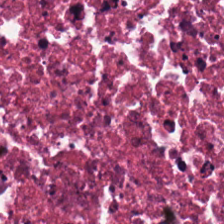Stain: hematoxylin-and-eosin stained section.
Tissue class: cellular debris.
